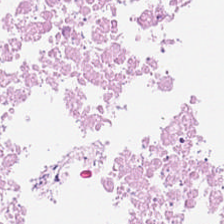H&E — The tissue here is cellular debris.
